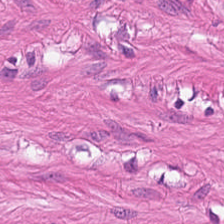Hematoxylin and eosin — This field is smooth-muscle tissue.
